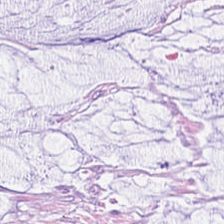H&E-stained tissue section. 20× equivalent magnification — Tissue — mucin.
